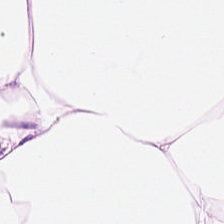H&E-stained tissue section. This patch shows adipocytes.
